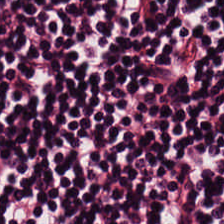The predominant tissue is lymphoid infiltrate.
